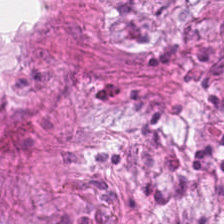Hematoxylin and eosin.
Tissue type: cancer-associated stroma.
